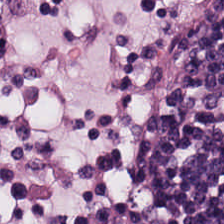0.5 µm per pixel. H&E. Formalin-fixed paraffin-embedded section — The predominant tissue is lymphoid infiltrate.
